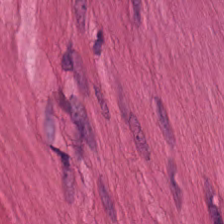Hematoxylin-and-eosin stained section — This field is smooth-muscle tissue.
